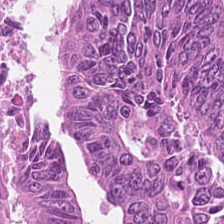H&E-stained tissue section.
Tissue type = tumor epithelium.
